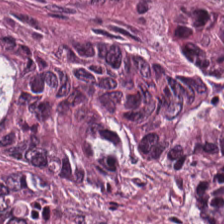Hematoxylin and eosin. This patch shows adenocarcinoma.
